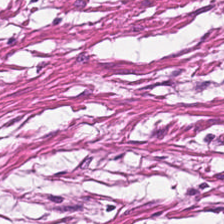Hematoxylin-and-eosin stained section.
{"tissue_type": "muscularis"}
